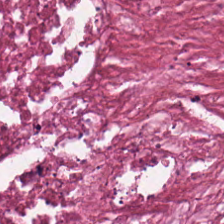H&E stain · 0.5 µm per pixel · formalin-fixed paraffin-embedded section.
Predominant tissue — necrotic debris.
